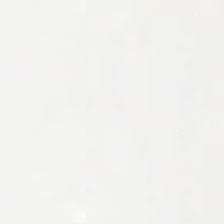Whole-slide-image patch. Hematoxylin and eosin — This patch shows background (no tissue).
